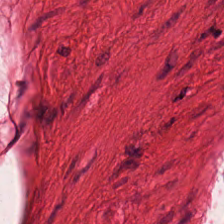224×224 px tile. H&E stain — The tissue class is muscularis.
